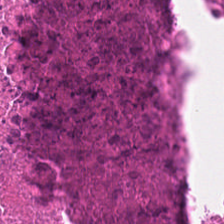Stain: H&E-stained tissue section.
Classification: necrotic debris.
